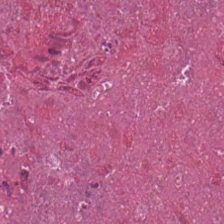Stain: hematoxylin-and-eosin stained section.
Tile size: 224×224 pixel tile.
Predominant tissue: cellular debris.
